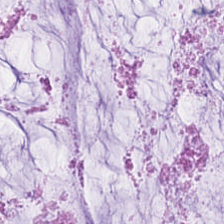H&E.
Predominantly mucus.
